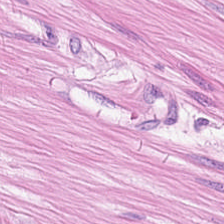Stain: H&E.
Preparation: FFPE.
Resolution: 0.5 µm/px.
Tissue type: muscularis.
